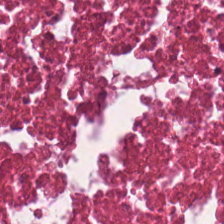0.5 µm/px; H&E — Q: What is the predominant tissue type?
A: This is debris.
